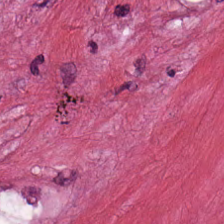Hematoxylin-and-eosin stained section. This field is cancer-associated stroma.
